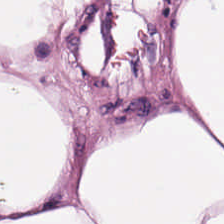Q: What is the predominant tissue type?
A: It is adipocytes.
